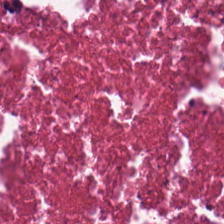WSI patch. 20× equivalent magnification. Hematoxylin and eosin. Showing cellular debris.
